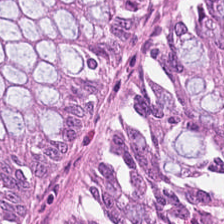H&E — This field is benign colonic mucosa.
